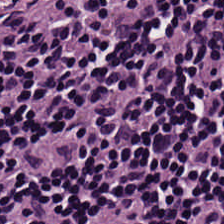Hematoxylin-and-eosin section: lymphocytic infiltrate.
